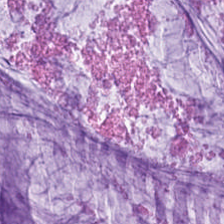0.5 µm/px · H&E stain. Predominantly mucin.
